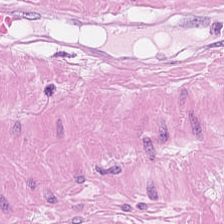{"tissue_type": "smooth muscle"}
